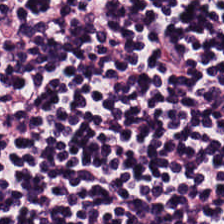H&E — Q: Classify this patch.
A: This is lymphocytes.
